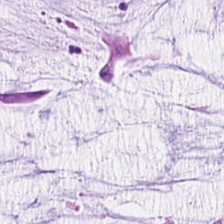Hematoxylin and eosin. Tissue — mucin.
